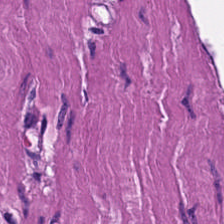H&E · brightfield.
This field is smooth muscle.
